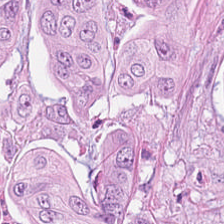FFPE tissue section · H&E-stained tissue section — Tissue = malignant epithelium.
